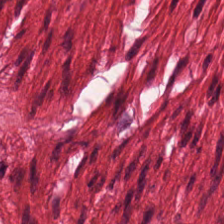H&E stain. 0.5 µm/px.
Smooth-muscle tissue.
